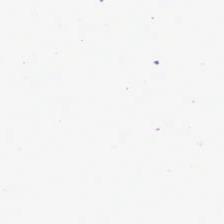Background (no tissue).
